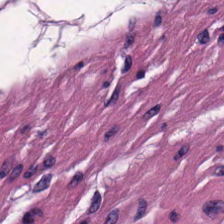This field is muscularis.
